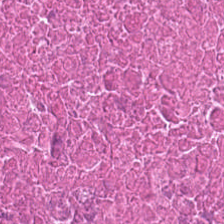Stain: H&E stain.
Acquisition: WSI patch.
Tissue class: debris.
